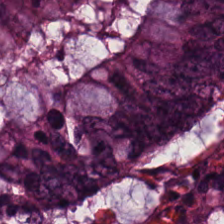Finding → adenocarcinoma.
